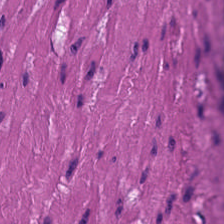H&E — Finding — smooth muscle.
